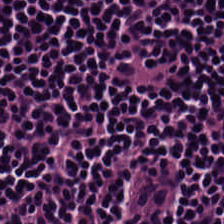This patch shows lymphocytes.
